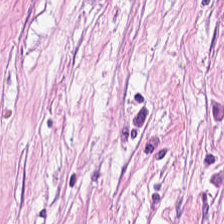H&E; WSI patch — Tissue — desmoplastic stroma.
